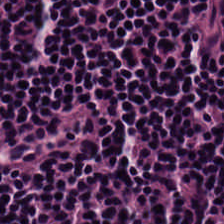H&E.
Tissue type = lymphoid infiltrate.
